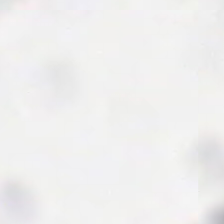The field content is background (no tissue).
